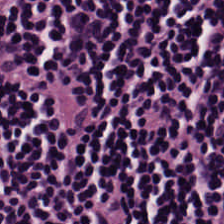H&E. Q: What is shown in this field?
A: The field shows lymphocytes.
